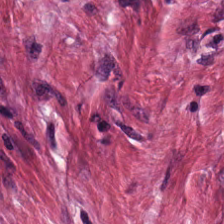Whole-slide-image patch. H&E-stained tissue section. 224×224 px tile.
Histology → tumor stroma.
